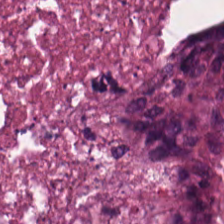H&E-stained tissue section. FFPE tissue section. Debris.
